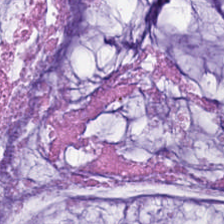H&E-stained tissue section — Predominantly mucus.
